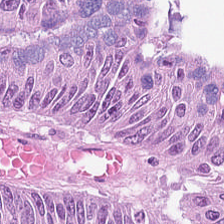Hematoxylin-and-eosin stained section; formalin-fixed paraffin-embedded section — Impression → adenocarcinoma.
